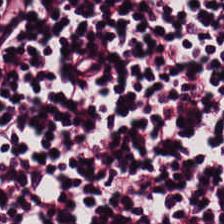{"tissue_type": "lymphoid infiltrate"}
